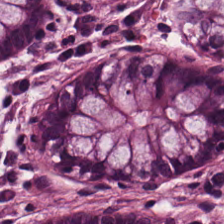Whole-slide-image patch; H&E stain — {"tissue_type": "benign colonic mucosa"}
